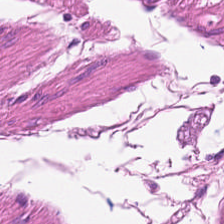Hematoxylin-and-eosin stained section; FFPE tissue section; 20× equivalent magnification.
Predominant tissue: smooth-muscle tissue.
